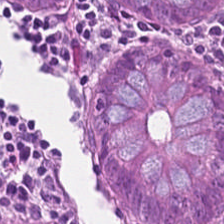H&E.
Predominantly benign colonic mucosa.
